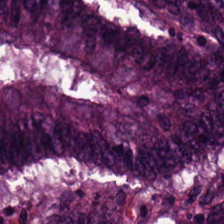Whole-slide-image patch · hematoxylin-and-eosin stained section. Impression — tumor epithelium.
